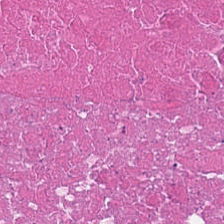20× equivalent magnification; WSI patch; H&E-stained tissue section — The tissue here is debris.
